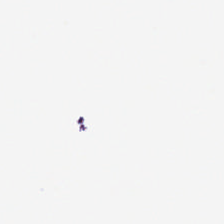Hematoxylin and eosin. Field content = background.
